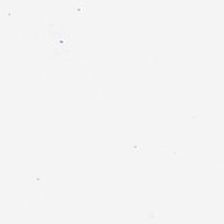Empty field — background.
